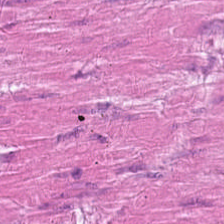The predominant tissue is smooth muscle.
